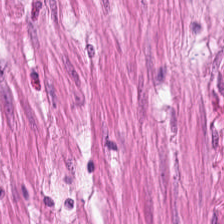H&E-stained tissue section — Tissue class = smooth-muscle tissue.
